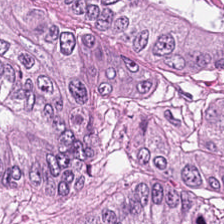Tissue type: colorectal adenocarcinoma.
